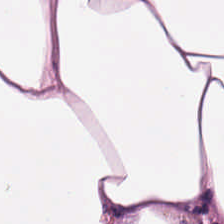Tissue type: fat tissue.
